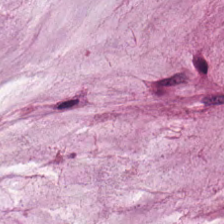224×224 px patch; hematoxylin-and-eosin stained section. The predominant tissue is mucus.
